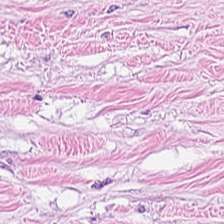Hematoxylin-and-eosin stained section; brightfield microscopy — Tumor stroma.
